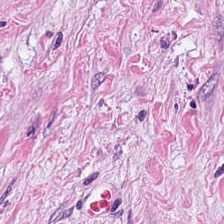Formalin-fixed paraffin-embedded section. 224×224 pixel tile. H&E. Q: What tissue type is shown here?
A: The field shows tumor-associated stroma.
